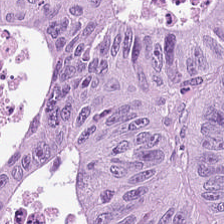FFPE · hematoxylin-and-eosin stained section · 0.5 microns per pixel. Q: What is shown in this field?
A: It is colorectal adenocarcinoma epithelium.
